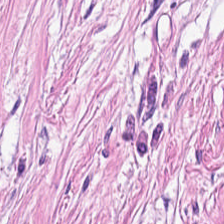H&E. This field is desmoplastic stroma.
